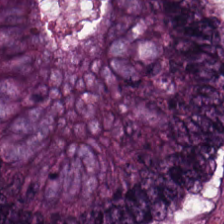0.5 µm per pixel. H&E-stained tissue section.
The tissue class is adenocarcinoma.
